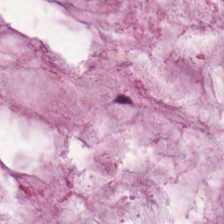224×224 px tile; H&E-stained tissue section — This field is mucin.
